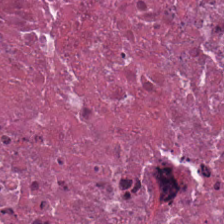H&E-stained tissue section; WSI patch.
Impression — necrotic debris.
